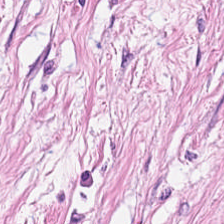H&E.
Q: Classify this patch.
A: It is tumor-associated stroma.
